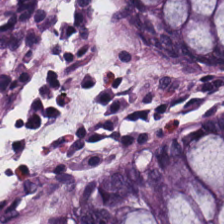H&E · 0.5 microns per pixel · 224×224 pixel tile.
Q: What tissue is shown?
A: It is non-neoplastic colon mucosa.
